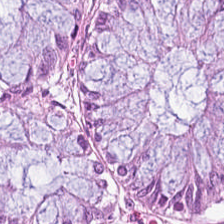Q: What is the predominant tissue type?
A: This is benign colonic mucosa.
